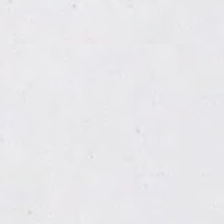This field is background (no tissue).
